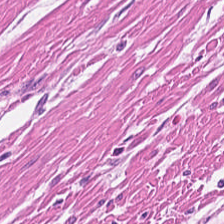0.5 microns per pixel; 224×224 pixel tile; hematoxylin-and-eosin stained section — Predominant tissue: smooth muscle.
